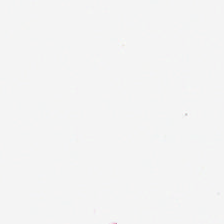H&E stain. Background — no tissue in this field.
